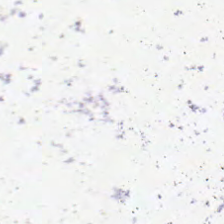Hematoxylin-and-eosin stained section. This patch shows background (no tissue).
